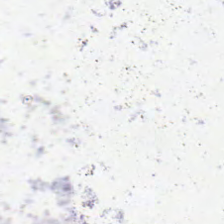H&E-stained tissue section — No tissue present; background only.
